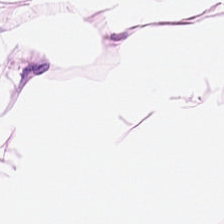0.5 microns per pixel. H&E-stained tissue section — The tissue type is adipose.
